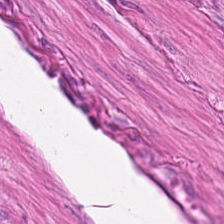WSI patch · 0.5 microns per pixel · hematoxylin-and-eosin stained section — Tissue type = smooth-muscle tissue.
